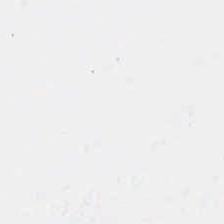Q: What is shown in this field?
A: This is background (no tissue).
